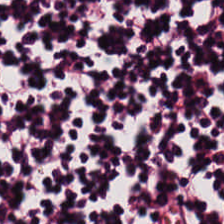H&E.
Tissue class = lymphocytes.
